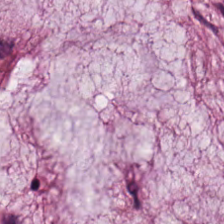H&E.
Impression → mucus.
